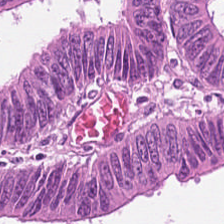Hematoxylin and eosin · WSI patch · formalin-fixed paraffin-embedded section. Predominantly adenocarcinoma.
